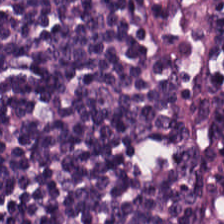Hematoxylin-and-eosin stained section. Tissue type: lymphocytic infiltrate.
